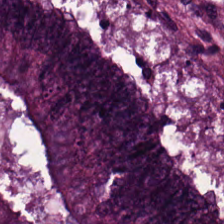Q: Classify this patch.
A: It is colorectal adenocarcinoma epithelium.
